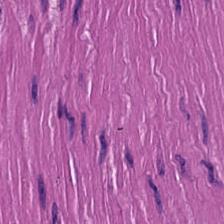Hematoxylin-and-eosin stained section; 0.5 microns per pixel; 224×224 px patch — The tissue here is smooth muscle.
